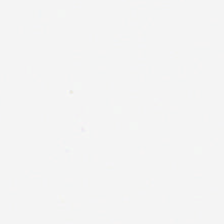224×224 pixel tile. Hematoxylin-and-eosin stained section. Whole-slide-image patch. Field content — background (no tissue).
